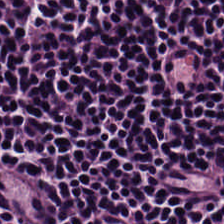Hematoxylin-and-eosin stained section — Tissue: lymphoid infiltrate.
